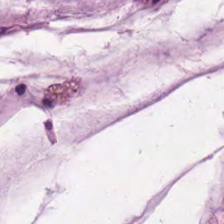Hematoxylin-and-eosin stained section. Whole-slide-image patch. This patch shows extracellular mucin.
